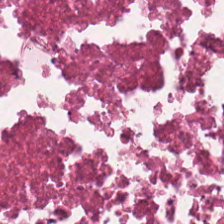Q: What tissue type is shown here?
A: It is debris.
